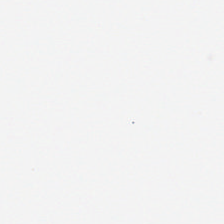0.5 microns per pixel; hematoxylin and eosin — Background — no tissue in this field.
